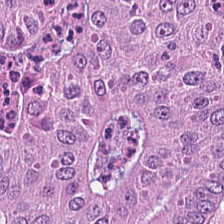Stain: hematoxylin-and-eosin stained section.
Tile size: 224×224 pixel tile.
Tissue class: tumor epithelium.
